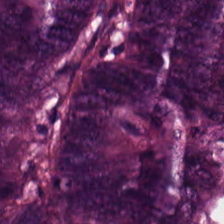Tissue class = malignant epithelium.
